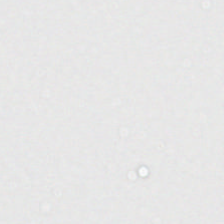Brightfield · H&E · FFPE tissue section — Q: What is shown here?
A: This is background (no tissue).
